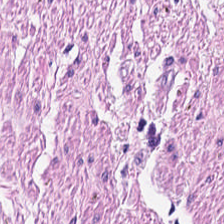224×224 px patch; hematoxylin-and-eosin stained section. Tissue class: smooth-muscle tissue.
